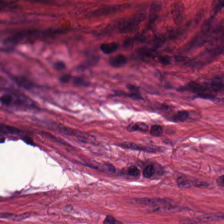Q: What is the predominant tissue type?
A: The field shows tumor-associated stroma.
